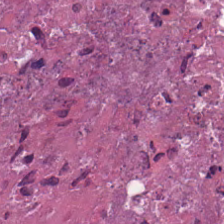H&E · 20× equivalent magnification. Impression → cellular debris.
